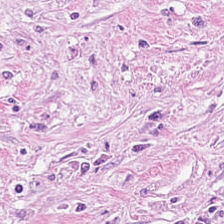H&E-stained tissue section · 224×224 pixel tile. {"tissue_type": "desmoplastic stroma"}
